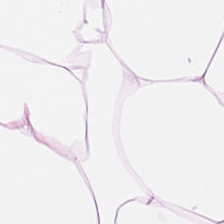Stain: H&E-stained tissue section.
Tile size: 224×224 px patch.
Acquisition: brightfield microscopy.
Tissue class: adipose.
